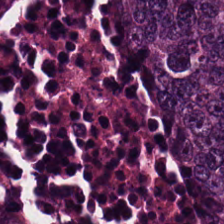224×224 px tile · hematoxylin-and-eosin stained section.
Showing adenocarcinoma.
